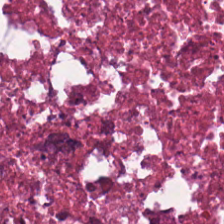H&E-stained tissue section.
{"tissue_type": "necrotic debris"}
